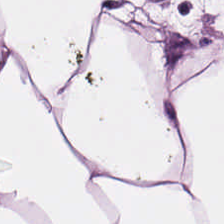H&E-stained tissue section. Histology — adipose tissue.
